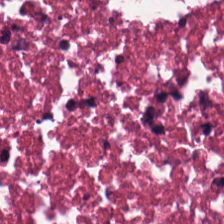Stain: hematoxylin and eosin.
Resolution: 0.5 microns per pixel.
Tile size: 224×224 px tile.
Tissue class: cellular debris.
